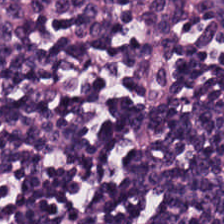Hematoxylin and eosin · 0.5 µm/px · brightfield — Q: Identify the tissue.
A: This is lymphocytes.
